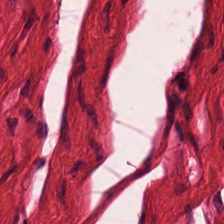Hematoxylin and eosin — Tissue type: smooth muscle.
